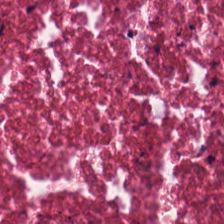WSI patch. Hematoxylin and eosin — Tissue class: cellular debris.
